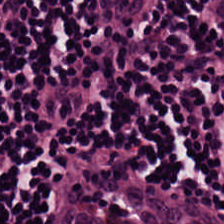Classification — lymphoid infiltrate.
